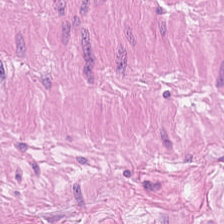Tissue class — smooth-muscle tissue.
